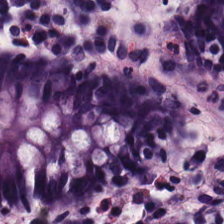Hematoxylin and eosin. Whole-slide-image patch.
This field is benign colonic mucosa.
